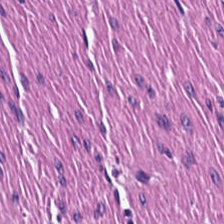Stain: H&E-stained tissue section.
Tissue type: smooth muscle.
